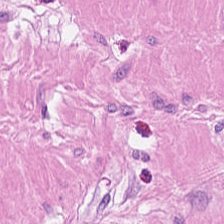H&E stain.
Tissue type — smooth-muscle tissue.
